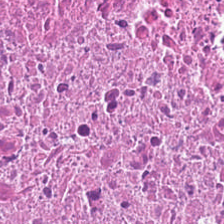FFPE tissue section. H&E. 224×224 pixel tile.
Predominantly necrotic debris.
